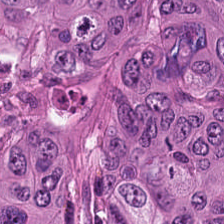Classification: adenocarcinoma.
